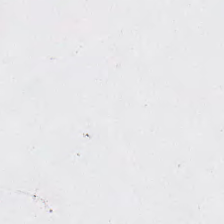H&E. The classification is no tissue.
